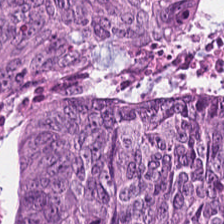H&E. Classification = tumor epithelium.
